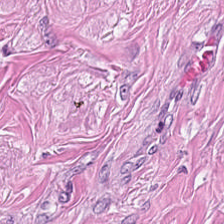Hematoxylin-and-eosin stained section. 0.5 µm/px.
Predominantly tumor stroma.
